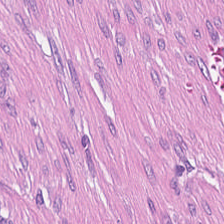The tissue here is cancer-associated stroma.
